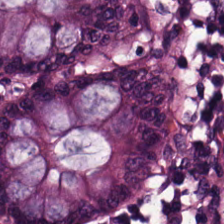H&E stain.
Finding — non-neoplastic colon mucosa.
